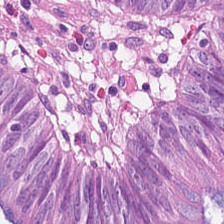H&E-stained tissue section; 0.5 microns per pixel. Predominantly malignant epithelium.
